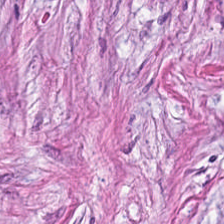H&E-stained tissue section. Tumor-associated stroma.
